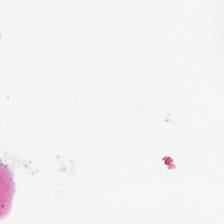H&E stain.
Empty field — empty background.
